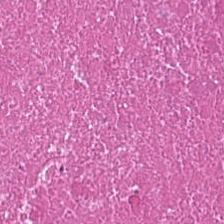Hematoxylin and eosin. Q: What type of tissue is this?
A: This is necrotic debris.
